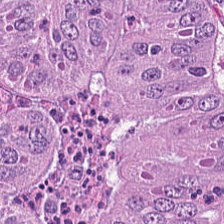Hematoxylin and eosin — Predominant tissue: colorectal adenocarcinoma.
